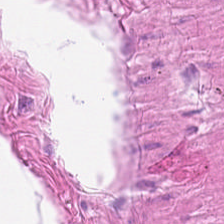Stain: hematoxylin and eosin.
Predominant tissue: smooth muscle.
